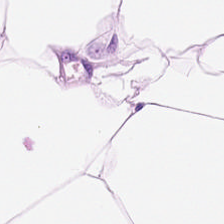Histology → adipocytes.
